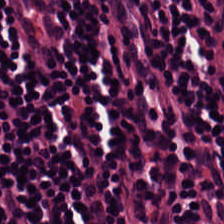H&E-stained tissue section showing lymphocyte aggregate.
